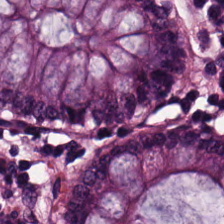Hematoxylin-and-eosin stained section — This field is normal colon mucosa.
